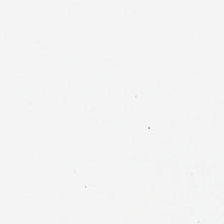224×224 px patch · H&E-stained tissue section — This field is background (no tissue).
